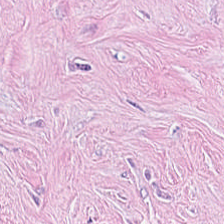Q: Classify this patch.
A: It is tumor stroma.
